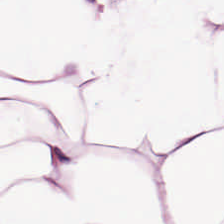FFPE tissue section; H&E.
The classification is adipose tissue.
